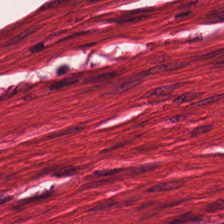H&E.
The classification is smooth muscle.
